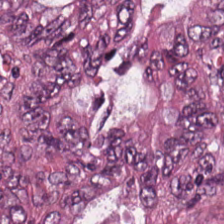Malignant epithelium.
